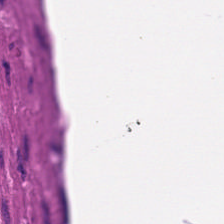Q: Identify the tissue.
A: It is smooth muscle.
